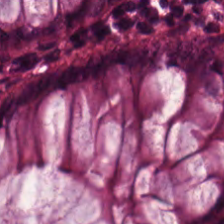Hematoxylin-and-eosin stained section. 224×224 px patch. 0.5 µm per pixel — Q: What type of tissue is this?
A: Normal colonic mucosa.
